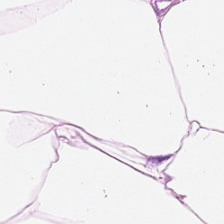H&E.
This field is adipose tissue.
